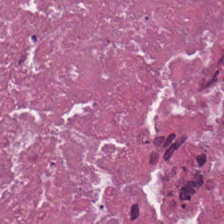Q: Classify this patch.
A: Debris.
